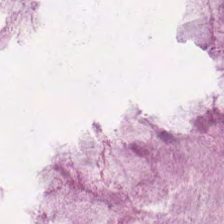Brightfield microscopy; H&E; formalin-fixed paraffin-embedded section. The tissue here is extracellular mucin.
